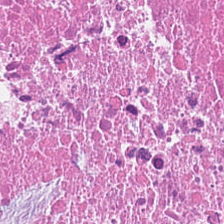H&E stain; formalin-fixed paraffin-embedded section — Classification: debris.
